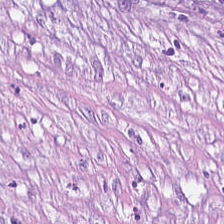WSI patch · hematoxylin and eosin.
Predominant tissue = desmoplastic stroma.
